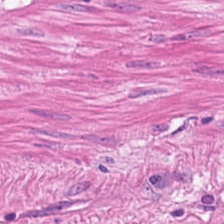Hematoxylin and eosin.
Showing smooth muscle.
